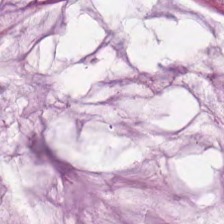Hematoxylin and eosin — The tissue is mucus.
